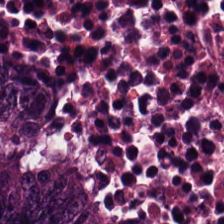H&E — The tissue here is colorectal adenocarcinoma epithelium.
